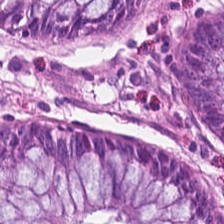H&E. Q: Classify this patch.
A: The field shows normal colonic mucosa.
